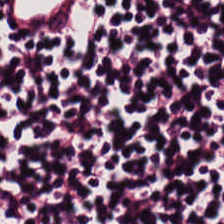H&E — lymphocyte aggregate.
